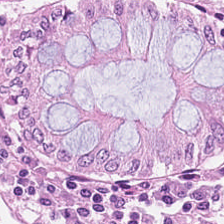H&E-stained tissue section · FFPE tissue section · 224×224 px patch. Tissue type: non-neoplastic colon mucosa.
